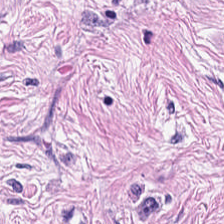Stain: hematoxylin and eosin.
Resolution: 0.5 µm per pixel.
Tissue class: tumor-associated stroma.
